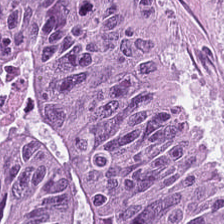0.5 µm/px · hematoxylin-and-eosin stained section · 224×224 px tile.
Tissue type = colorectal adenocarcinoma.
